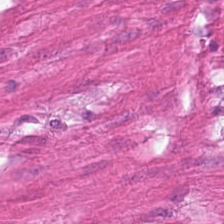H&E-stained tissue section. Brightfield. 224×224 pixel tile — Tissue class — muscularis.
